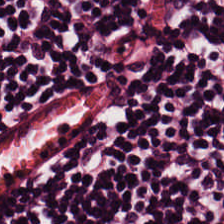Stain: H&E stain.
Tissue type: lymphoid infiltrate.
